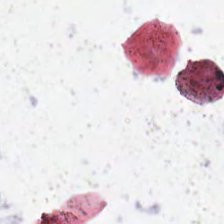0.5 µm/px · H&E stain · FFPE tissue section.
Background — no tissue in this field.
